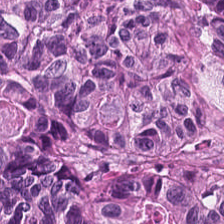Hematoxylin and eosin.
Histology — colorectal adenocarcinoma.
